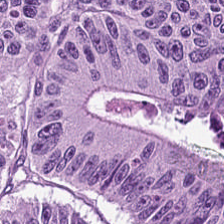H&E-stained tissue section. Predominantly colorectal adenocarcinoma.
